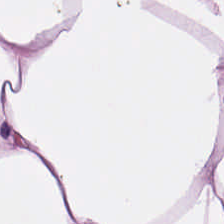0.5 µm per pixel. Brightfield. H&E stain.
Classification = adipocytes.
